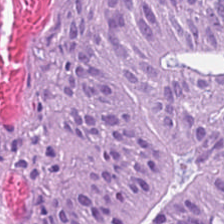This field is colorectal adenocarcinoma epithelium.
